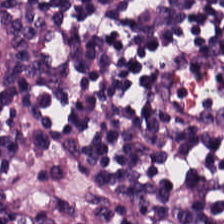H&E-stained tissue section — Showing lymphoid infiltrate.
